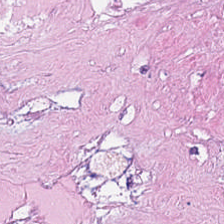FFPE tissue section. H&E stain.
The tissue here is necrotic debris.
